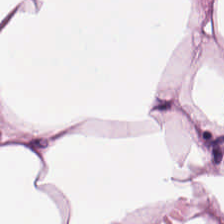Hematoxylin and eosin — Classification = adipocytes.
